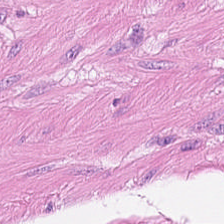0.5 µm/px · H&E stain · whole-slide-image patch — Predominant tissue = smooth muscle.
